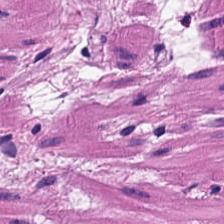Q: What does this patch show?
A: Muscularis.
